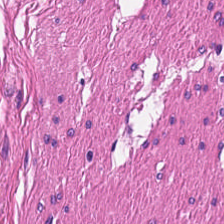Hematoxylin-and-eosin stained section.
Showing muscularis.
